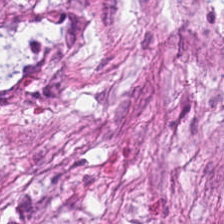Hematoxylin-and-eosin stained section.
Tissue type: cancer-associated stroma.
